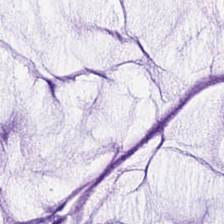Formalin-fixed paraffin-embedded section; hematoxylin and eosin; 0.5 µm per pixel — This field is extracellular mucin.
